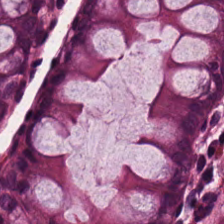Hematoxylin and eosin. Tissue type = non-neoplastic colon mucosa.
